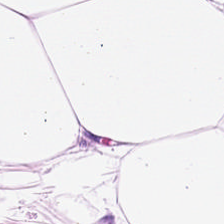Hematoxylin-and-eosin stained section.
Tissue class: fat tissue.
